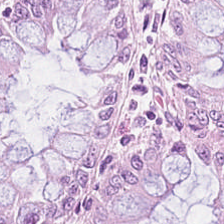H&E-stained tissue section.
This patch shows normal colon mucosa.
